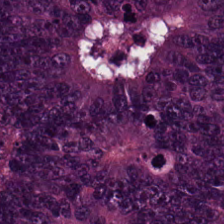Stain: hematoxylin and eosin.
Acquisition: brightfield microscopy.
Tissue: malignant epithelium.
